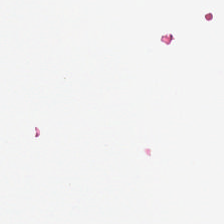0.5 µm/px · hematoxylin and eosin.
{"content": "background"}
